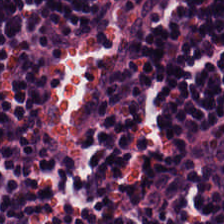H&E stain. 0.5 microns per pixel.
Predominant tissue: lymphoid infiltrate.
